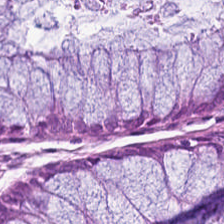H&E stain.
{"tissue_type": "benign colonic mucosa"}
